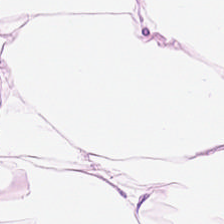Brightfield · hematoxylin-and-eosin stained section.
The tissue here is adipocytes.
